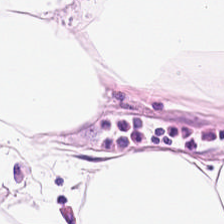0.5 µm/px · H&E stain · 224×224 px patch. Showing fat tissue.
